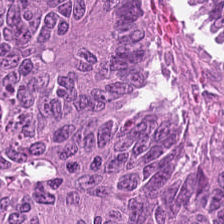H&E stain — Q: What is shown in this field?
A: Colorectal adenocarcinoma epithelium.
